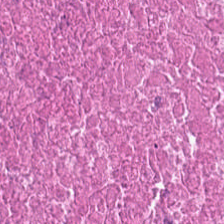Impression — necrotic debris.
